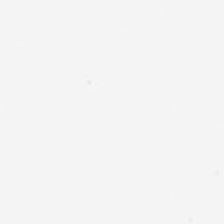224×224 px tile · H&E-stained tissue section — Q: What does this patch show?
A: The field shows background.
